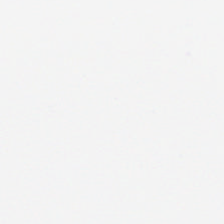Hematoxylin and eosin. No tissue present; background only.
